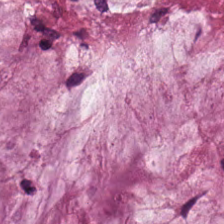{"tissue_type": "mucus"}
